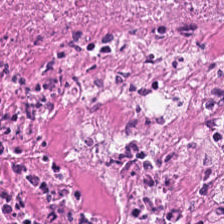FFPE; hematoxylin and eosin; brightfield.
Tissue class — necrotic debris.
